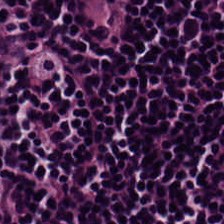Hematoxylin-and-eosin stained section · 224×224 px tile. Impression — lymphocytes.
